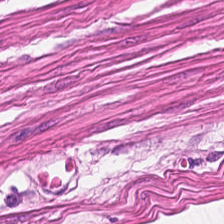{"tissue_type": "smooth-muscle tissue"}
